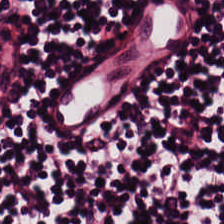Stain: hematoxylin and eosin.
Predominant tissue: lymphocytic infiltrate.
